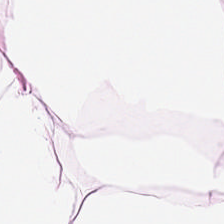Hematoxylin-and-eosin stained section — Predominant tissue = adipocytes.
